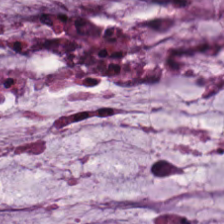H&E. 20× equivalent magnification — The predominant tissue is extracellular mucin.
